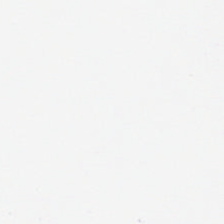Hematoxylin-and-eosin stained section.
This field is background (no tissue).
